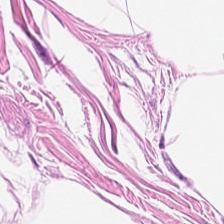Whole-slide-image patch; 0.5 µm/px; H&E. {"tissue_type": "adipose tissue"}
